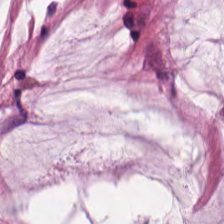Showing extracellular mucin.
